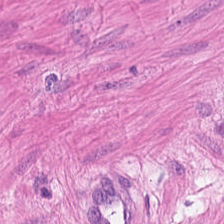This field is smooth-muscle tissue.
